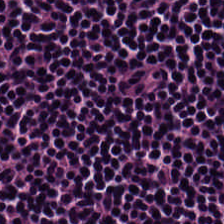Classification = lymphoid infiltrate.
